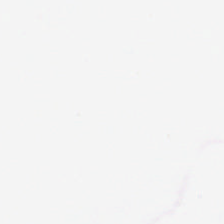Whole-slide-image patch. Hematoxylin and eosin — This patch shows empty background.
